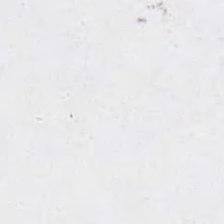Stain: H&E.
Acquisition: WSI patch.
Classification: empty background.
